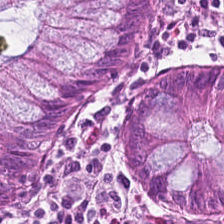Brightfield · hematoxylin-and-eosin stained section. {"tissue_type": "normal colonic mucosa"}
